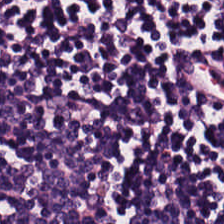Hematoxylin-and-eosin stained section · whole-slide-image patch. This patch shows lymphocytic infiltrate.
